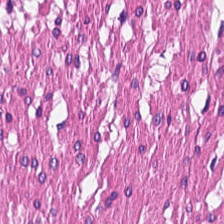H&E stain.
This patch shows smooth muscle.
